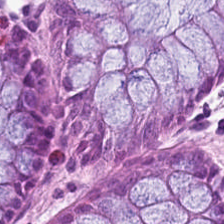Hematoxylin-and-eosin section: benign colonic mucosa.
